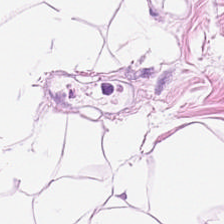H&E stain.
Q: What tissue type is shown here?
A: It is adipose.
